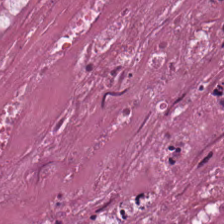Q: Identify the tissue.
A: Necrotic debris.
